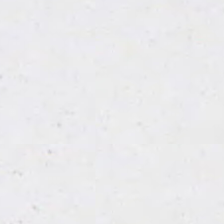The content is background (no tissue).
